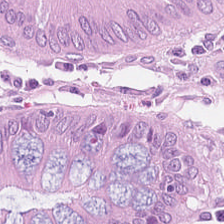H&E-stained tissue section — Benign colonic mucosa.
